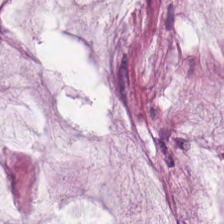H&E-stained tissue section; 224×224 px patch; whole-slide-image patch.
Q: What type of tissue is this?
A: Mucin.
